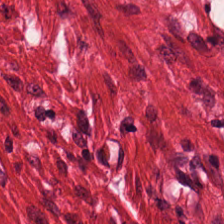H&E. Tissue = smooth-muscle tissue.
